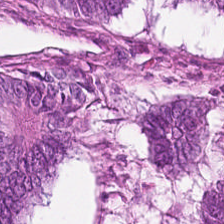H&E stain. 0.5 microns per pixel. WSI patch. Showing malignant epithelium.
